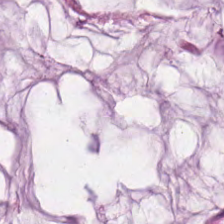Stain: hematoxylin and eosin.
Classification: mucin.
